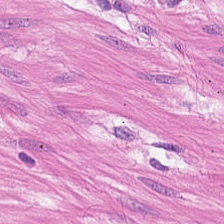H&E — smooth muscle.
